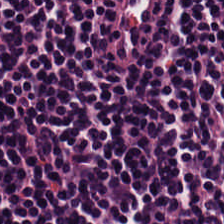Predominantly lymphocyte aggregate.
